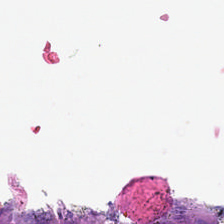Hematoxylin and eosin.
This field is background (no tissue).
